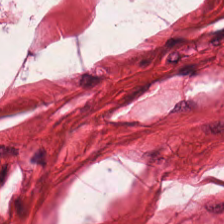Q: What is shown in this field?
A: The field shows smooth-muscle tissue.
